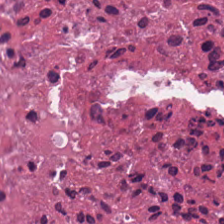H&E. Predominantly debris.
